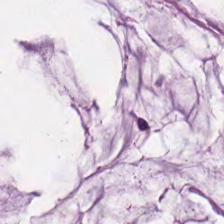Hematoxylin-and-eosin stained section. Tissue = extracellular mucin.
